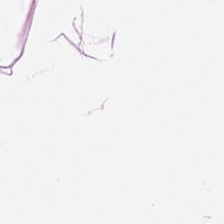H&E. 20× equivalent magnification. Q: Classify this patch.
A: This is adipocytes.
